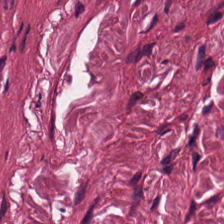The predominant tissue is cancer-associated stroma.
